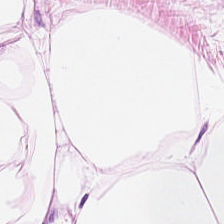H&E stain — Q: What tissue type is shown here?
A: It is adipose tissue.
